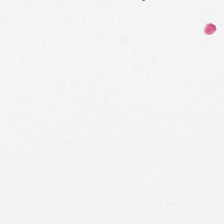No tissue present; background only.
